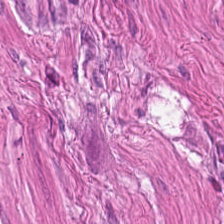Whole-slide-image patch. H&E-stained tissue section.
Q: What is the predominant tissue type?
A: This is muscularis.
